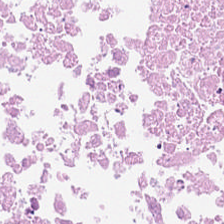H&E. {"tissue_type": "cellular debris"}
